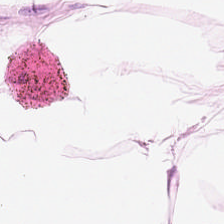The tissue type is adipose.
